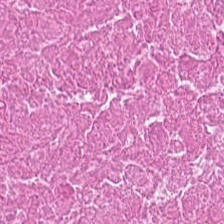Histology → necrotic debris.
